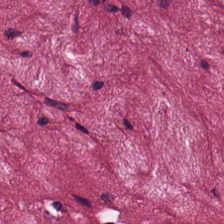Whole-slide-image patch; hematoxylin-and-eosin stained section. Tissue — desmoplastic stroma.
